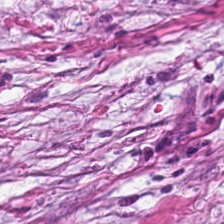Hematoxylin and eosin; FFPE. Impression → tumor stroma.
